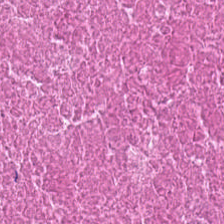Hematoxylin and eosin · 224×224 px patch · formalin-fixed paraffin-embedded section. The predominant tissue is debris.
